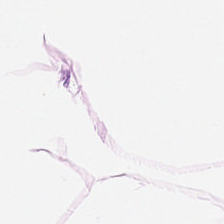H&E-stained section; the field shows adipose tissue.
